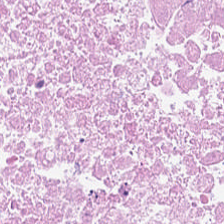H&E-stained tissue section.
This field is necrotic debris.
